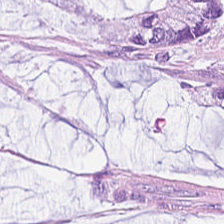20× equivalent magnification; hematoxylin and eosin.
Histology → mucin.
